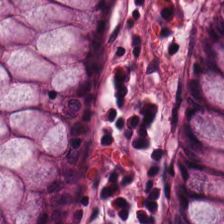H&E stain.
Predominant tissue: normal colonic mucosa.
